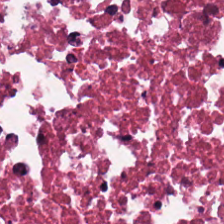Debris.
